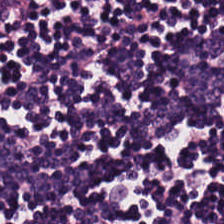Hematoxylin-and-eosin stained section. Q: What tissue is shown?
A: The field shows lymphocyte aggregate.
